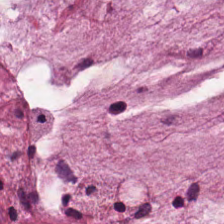Hematoxylin and eosin. Q: What tissue is shown?
A: The field shows mucus.
